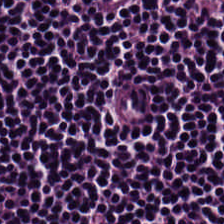H&E stain.
Tissue class — lymphocytic infiltrate.
